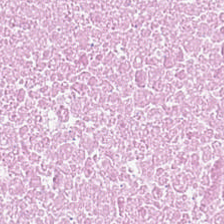The tissue here is cellular debris.
